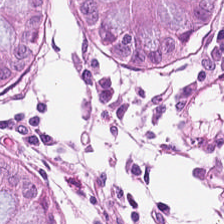224×224 pixel tile. H&E. Q: What tissue type is shown here?
A: The field shows normal colon mucosa.
